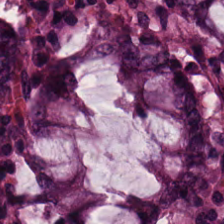H&E.
The tissue is non-neoplastic colon mucosa.
